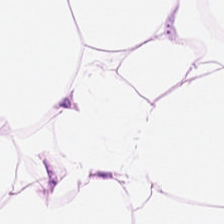H&E. Q: What is shown here?
A: Adipose tissue.
